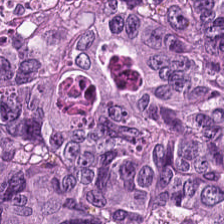{"tissue_type": "tumor epithelium"}
